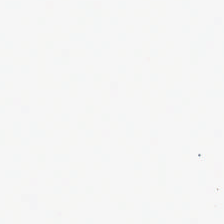Hematoxylin and eosin.
Empty field — background (no tissue).
